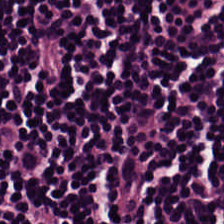Brightfield microscopy. 0.5 microns per pixel. H&E-stained tissue section.
Q: What tissue type is shown here?
A: It is lymphocyte aggregate.
